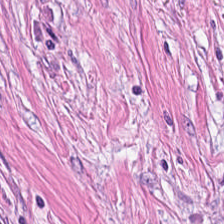FFPE · hematoxylin-and-eosin stained section · 0.5 µm/px — Impression → tumor stroma.
